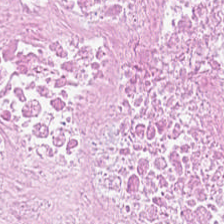Hematoxylin and eosin.
Impression → cellular debris.
